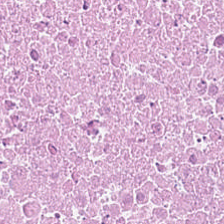224×224 px patch; hematoxylin-and-eosin stained section — Classification — cellular debris.
